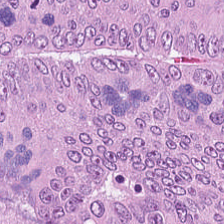H&E. FFPE tissue section — Tissue class = colorectal adenocarcinoma.
